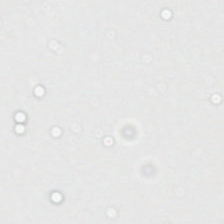Hematoxylin-and-eosin stained section; 20× equivalent magnification.
Impression — background.
